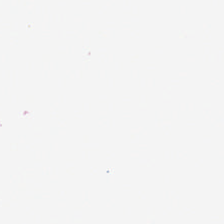H&E. No tissue.
